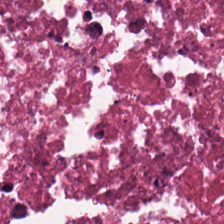H&E-stained tissue section — Q: What tissue type is shown here?
A: This is debris.
